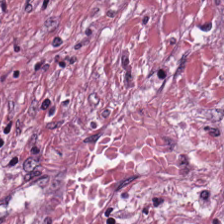Stain: hematoxylin-and-eosin stained section.
Classification: tumor-associated stroma.
